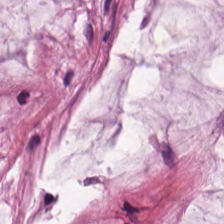H&E.
Finding — extracellular mucin.
